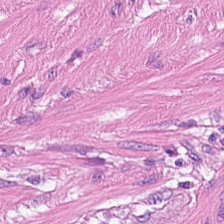Hematoxylin-and-eosin stained section · whole-slide-image patch — Tissue class — smooth-muscle tissue.
